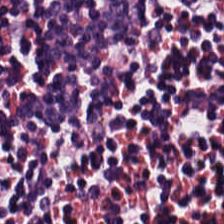H&E-stained tissue section.
Tissue type = lymphocytes.
